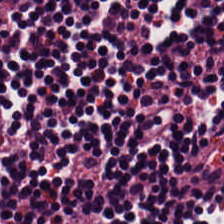H&E — Q: What type of tissue is this?
A: This is lymphocytes.
